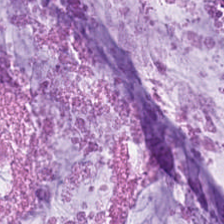H&E-stained tissue section.
Q: What does this patch show?
A: The field shows mucus.
